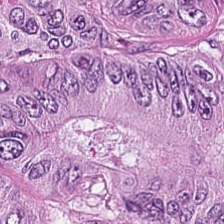20× equivalent magnification; hematoxylin-and-eosin stained section.
Q: What is the predominant tissue type?
A: Adenocarcinoma.
